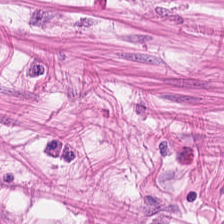Q: What does this patch show?
A: It is smooth-muscle tissue.
